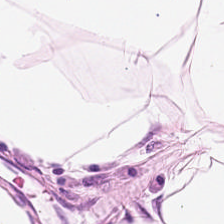H&E. This field is fat tissue.
